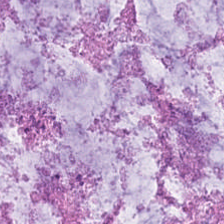Histology — mucin.
